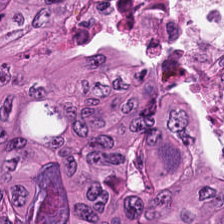H&E stain — {"tissue_type": "adenocarcinoma"}
